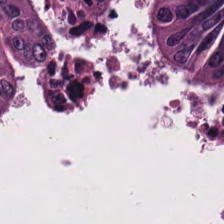H&E-stained tissue section — Q: Identify the tissue.
A: It is colorectal adenocarcinoma.
